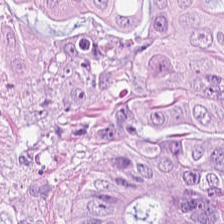H&E-stained tissue section; whole-slide-image patch — Impression → colorectal adenocarcinoma.
